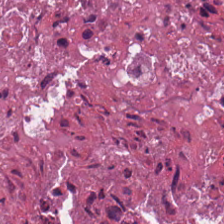This patch shows debris.
